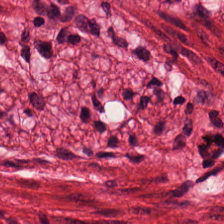Stain: H&E.
Tissue class: muscularis.
